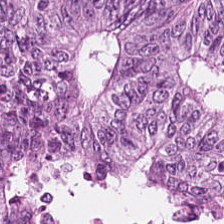Hematoxylin-and-eosin stained section. Finding — colorectal adenocarcinoma.
